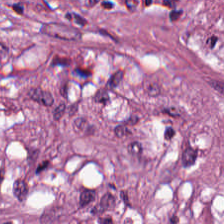224×224 px patch · H&E — Finding → tumor-associated stroma.
